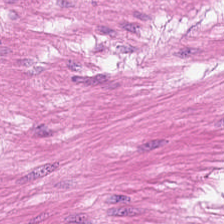224×224 px patch. Hematoxylin-and-eosin stained section. FFPE tissue section. The predominant tissue is muscularis.
